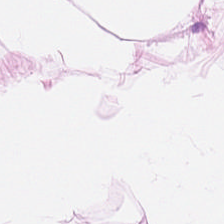Impression → fat tissue.
